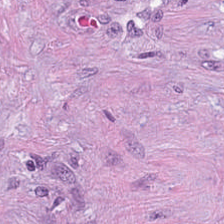Hematoxylin-and-eosin stained section; FFPE tissue section. The tissue here is tumor-associated stroma.
